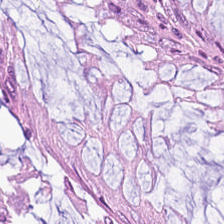H&E. 224×224 px patch — Showing normal colon mucosa.
